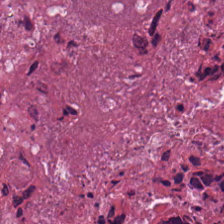Hematoxylin-and-eosin stained section · 20× equivalent magnification · 224×224 pixel tile. Tissue type = necrotic debris.
